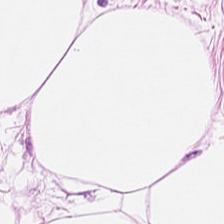Tissue class: adipose.
